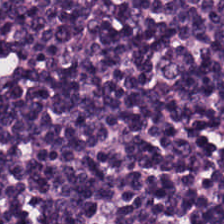Hematoxylin-and-eosin stained section. The tissue here is lymphocyte aggregate.
